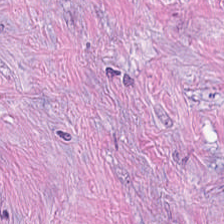Tissue class = desmoplastic stroma.
